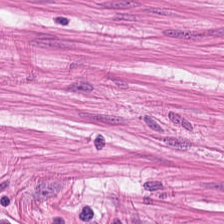H&E stain · 0.5 µm per pixel — {"tissue_type": "smooth-muscle tissue"}
